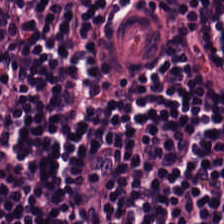H&E stain — Impression → lymphocytes.
